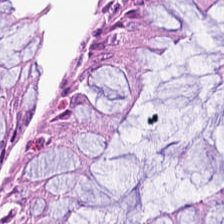Whole-slide-image patch; H&E — Showing non-neoplastic colon mucosa.
